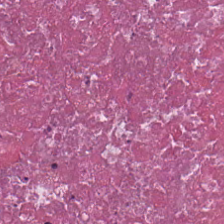Hematoxylin and eosin.
Q: What is shown here?
A: Debris.
